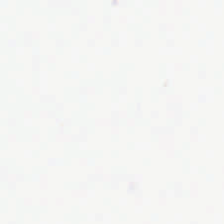FFPE tissue section; hematoxylin and eosin — Empty field — no tissue.
